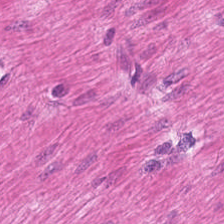Brightfield · 224×224 px tile · H&E-stained tissue section.
Q: What tissue is shown?
A: It is smooth muscle.
